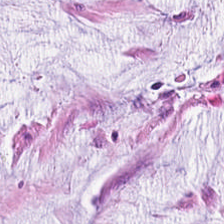H&E-stained tissue section. Tissue class: mucin.
